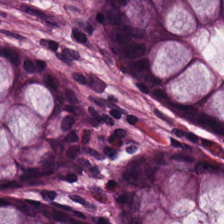Hematoxylin and eosin.
Predominant tissue: normal colon mucosa.
